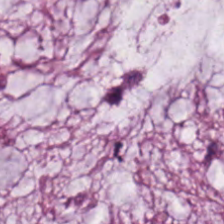Hematoxylin and eosin.
Finding — extracellular mucin.
